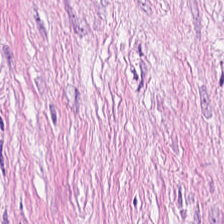Hematoxylin-and-eosin stained section. FFPE tissue section.
Q: What is shown in this field?
A: Cancer-associated stroma.
